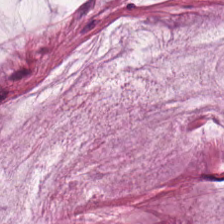Impression — mucus.
